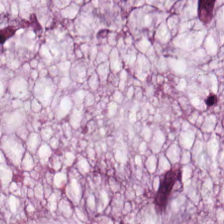{"tissue_type": "extracellular mucin"}
